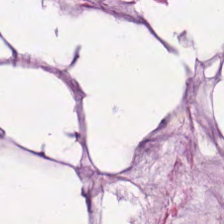Hematoxylin and eosin.
Finding — mucus.
